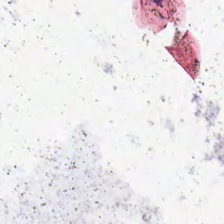The content is background.
